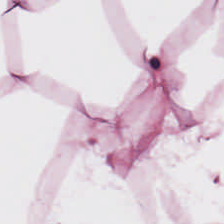Stain: H&E.
Tissue type: adipose tissue.
